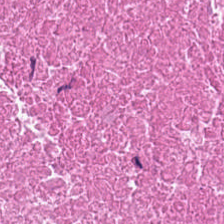Hematoxylin and eosin. FFPE.
Q: What does this patch show?
A: The field shows debris.
